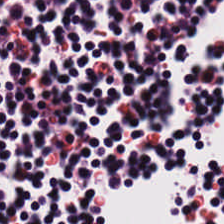H&E. Lymphocyte aggregate.
